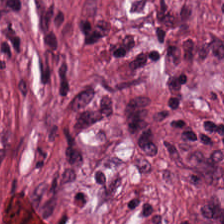Predominant tissue — cancer-associated stroma.
